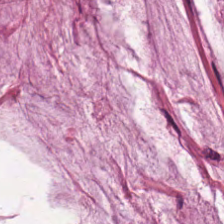Hematoxylin and eosin.
Histology — extracellular mucin.
